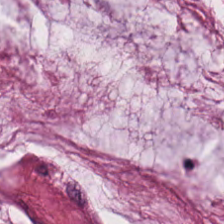Q: What is shown here?
A: The field shows mucus.
